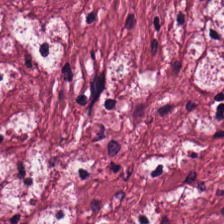0.5 µm/px; WSI patch; hematoxylin and eosin.
The classification is cancer-associated stroma.
